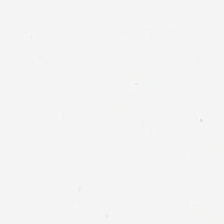Background.
